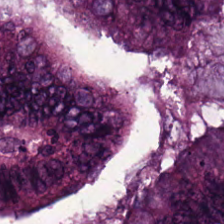20× equivalent magnification; formalin-fixed paraffin-embedded section; hematoxylin and eosin. The tissue class is tumor epithelium.
